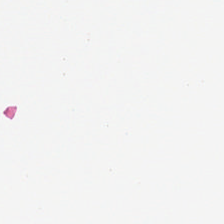Classification — background (no tissue).
